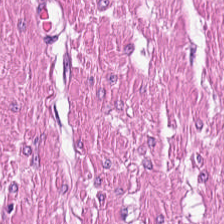Hematoxylin and eosin.
Q: What does this patch show?
A: Smooth muscle.
